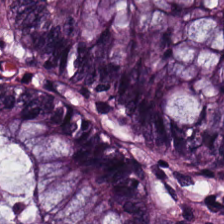224×224 pixel tile · brightfield · hematoxylin and eosin — {"tissue_type": "benign colonic mucosa"}
